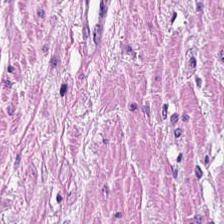H&E-stained tissue section — The tissue here is smooth muscle.
